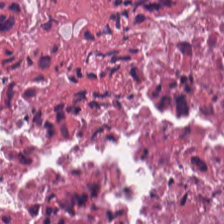Hematoxylin-and-eosin stained section.
Q: What is shown in this field?
A: It is cellular debris.
